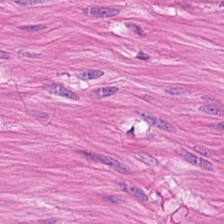H&E-stained tissue section. Tissue type: smooth muscle.
